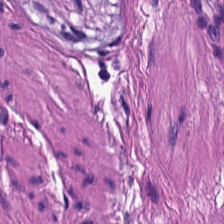The tissue is smooth muscle.
